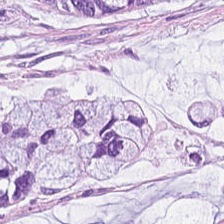Hematoxylin-and-eosin stained section; whole-slide-image patch; 20× equivalent magnification — The tissue is mucin.
